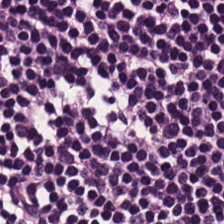Whole-slide-image patch; H&E-stained tissue section.
Showing lymphocytic infiltrate.
